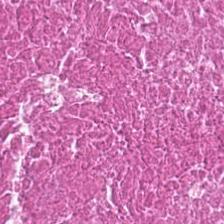H&E patch showing debris.
